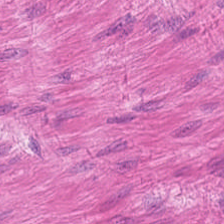H&E stain; 0.5 microns per pixel.
Predominantly muscularis.
